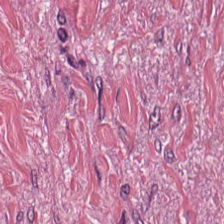H&E. Predominantly desmoplastic stroma.
